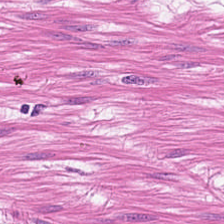20× equivalent magnification. Hematoxylin-and-eosin stained section.
This patch shows smooth-muscle tissue.
